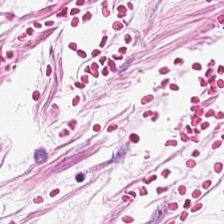Hematoxylin and eosin.
Finding — adipocytes.
